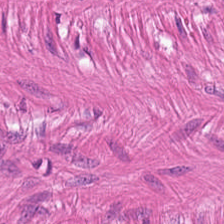WSI patch · hematoxylin and eosin. Muscularis.
